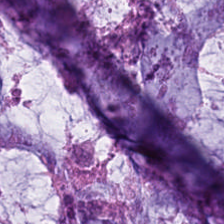Hematoxylin-and-eosin stained section; formalin-fixed paraffin-embedded section. This field is extracellular mucin.
